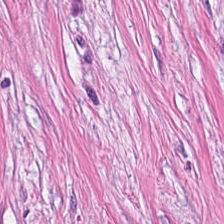Formalin-fixed paraffin-embedded section. Hematoxylin and eosin. Q: What does this patch show?
A: This is desmoplastic stroma.
